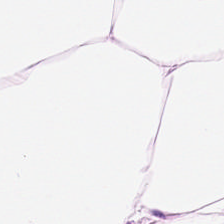H&E-stained tissue section. Q: What is shown here?
A: It is adipose.
